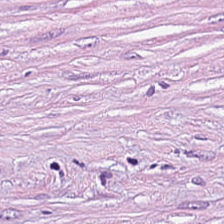Q: What tissue is shown?
A: It is tumor-associated stroma.
